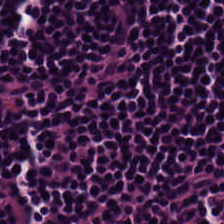224×224 pixel tile; hematoxylin and eosin. Finding — lymphocyte aggregate.
